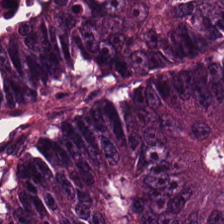Hematoxylin-and-eosin stained section — Q: Classify this patch.
A: Adenocarcinoma.
